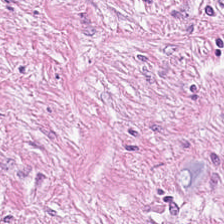H&E stain — The tissue here is tumor stroma.
